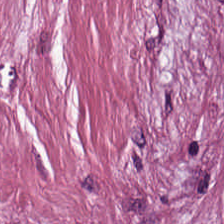H&E stain — The predominant tissue is tumor stroma.
